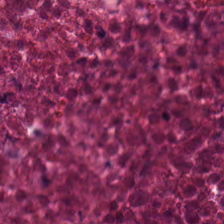Stain: H&E stain.
Classification: cellular debris.
